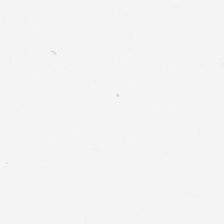Hematoxylin-and-eosin stained section. 0.5 µm/px.
No tissue present; background only.
